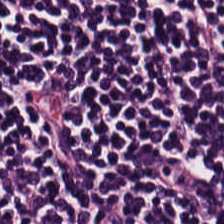Q: What is shown in this field?
A: It is lymphocytic infiltrate.
